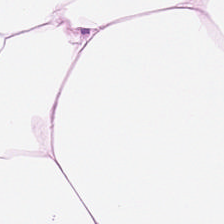WSI patch. Hematoxylin and eosin.
This patch shows adipose.
